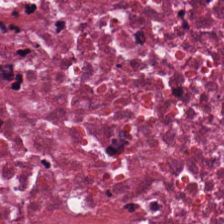Stain: hematoxylin and eosin.
Resolution: 20× equivalent magnification.
Tile size: 224×224 pixel tile.
Tissue: debris.
